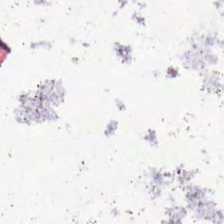Content — background (no tissue).
